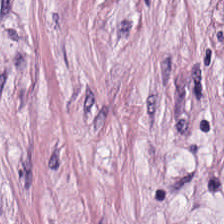H&E-stained section; the field shows cancer-associated stroma.
